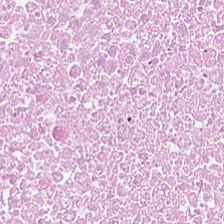Hematoxylin-and-eosin stained section — Predominant tissue: cellular debris.
